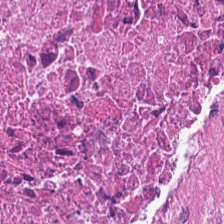H&E. The predominant tissue is cellular debris.
